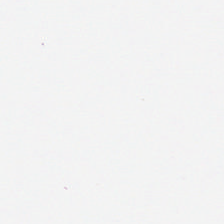H&E stain.
This field is background (no tissue).
